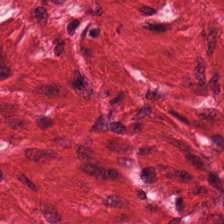Tissue class: muscularis.
